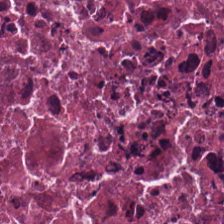0.5 microns per pixel; 224×224 px patch; hematoxylin and eosin. Q: What tissue is shown?
A: The field shows debris.
